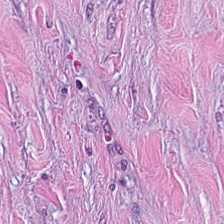Hematoxylin and eosin. FFPE tissue section. 20× equivalent magnification. Q: What type of tissue is this?
A: It is desmoplastic stroma.
